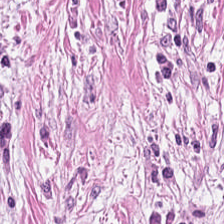H&E stain; 0.5 µm/px; 224×224 pixel tile. Q: What tissue is shown?
A: Tumor stroma.
